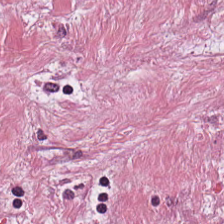H&E — {"tissue_type": "tumor-associated stroma"}
